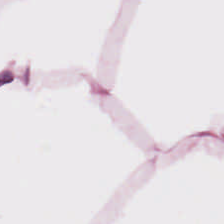Whole-slide-image patch; 0.5 microns per pixel; hematoxylin and eosin. Tissue = fat tissue.
